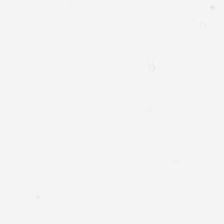Q: What is shown in this field?
A: The field shows empty background.
